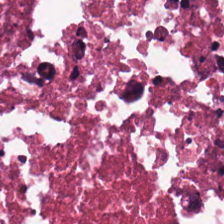Whole-slide-image patch. Hematoxylin and eosin.
Impression → cellular debris.
